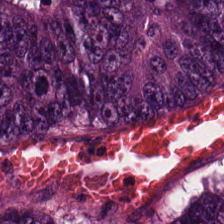H&E; 224×224 pixel tile; whole-slide-image patch — Impression → colorectal adenocarcinoma epithelium.
